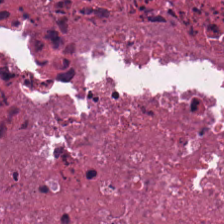H&E. Predominantly debris.
